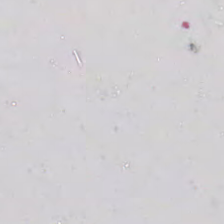0.5 microns per pixel. Hematoxylin and eosin — Content — no tissue.
